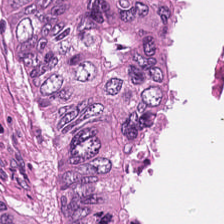Cellular debris.
